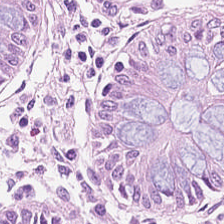H&E · FFPE · 0.5 microns per pixel. {"tissue_type": "normal colonic mucosa"}
